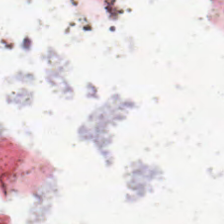Hematoxylin-and-eosin stained section. No tissue present; background only.
